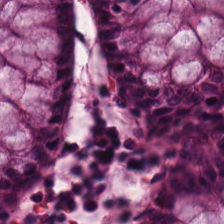H&E; 0.5 µm/px — The predominant tissue is normal colon mucosa.
